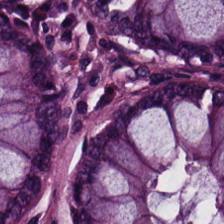Hematoxylin-and-eosin stained section. Predominant tissue = benign colonic mucosa.
